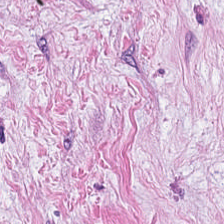Hematoxylin and eosin. Showing desmoplastic stroma.
